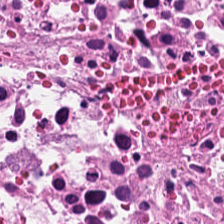H&E. Formalin-fixed paraffin-embedded section.
Tissue — necrotic debris.
